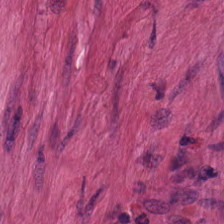Q: What tissue type is shown here?
A: The field shows smooth muscle.
